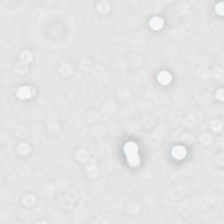H&E — Field content: empty background.
